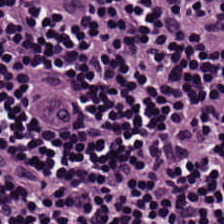Hematoxylin and eosin. Lymphoid infiltrate.
